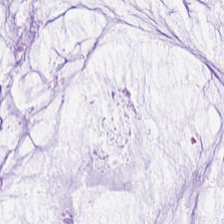H&E; brightfield microscopy. Predominant tissue = mucus.
